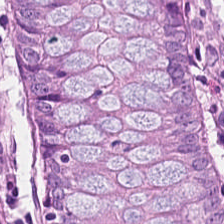WSI patch; 0.5 microns per pixel; H&E — Benign colonic mucosa.
